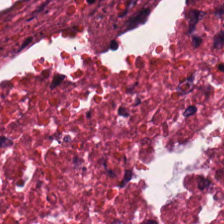Stain: hematoxylin-and-eosin stained section.
Tile size: 224×224 px tile.
Preparation: FFPE tissue section.
Tissue type: debris.
